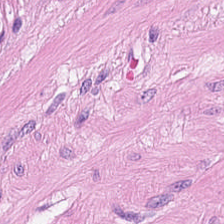Hematoxylin and eosin · FFPE tissue section — This patch shows muscularis.
